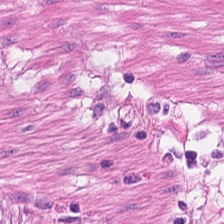Tissue type = muscularis.
